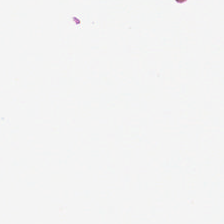H&E stain · 20× equivalent magnification — Empty field — background (no tissue).
